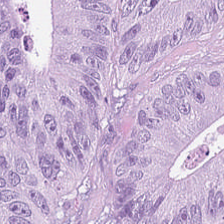H&E. The tissue here is tumor epithelium.
